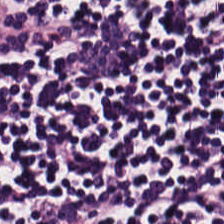H&E stain.
Lymphocytic infiltrate.
